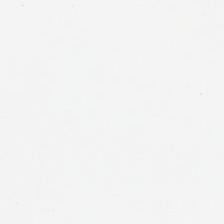Hematoxylin and eosin · 224×224 px patch · 20× equivalent magnification. {"content": "background"}
